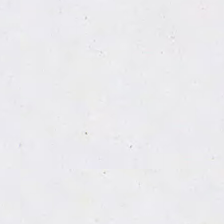Stain: H&E-stained tissue section.
Acquisition: WSI patch.
Content: background (no tissue).
